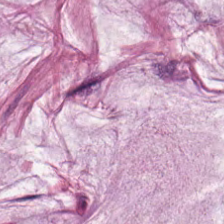H&E.
Predominant tissue = mucus.
